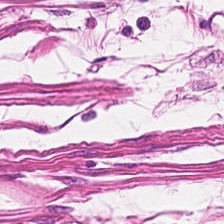Whole-slide-image patch; hematoxylin-and-eosin stained section. Tissue class: smooth-muscle tissue.
